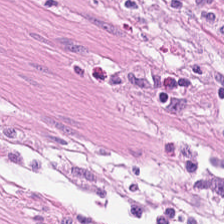Hematoxylin-and-eosin stained section; 224×224 px tile; whole-slide-image patch. This patch shows muscularis.
